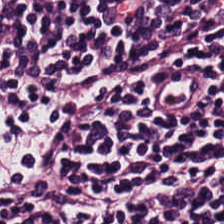H&E stain · FFPE.
The tissue here is lymphocytes.
